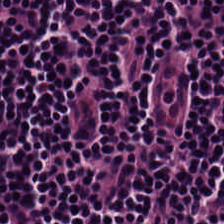H&E — Classification: lymphocyte aggregate.
